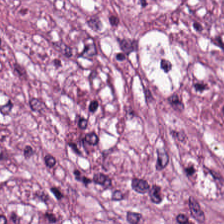Histology — desmoplastic stroma.
